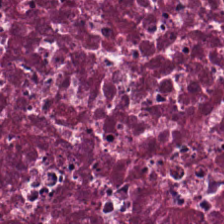The tissue is necrotic debris.
